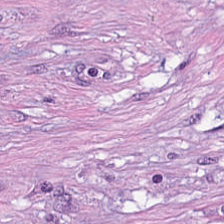H&E — Q: What is shown here?
A: The field shows tumor-associated stroma.
